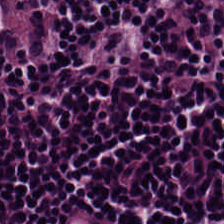Whole-slide-image patch · 224×224 px tile · hematoxylin and eosin.
The classification is lymphocytic infiltrate.
